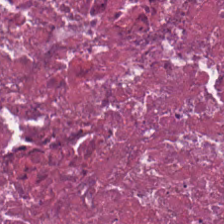Formalin-fixed paraffin-embedded section; 224×224 px tile; hematoxylin and eosin. This patch shows debris.
